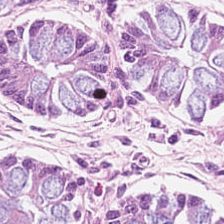Stain: H&E-stained tissue section.
Resolution: 0.5 µm/px.
Tissue class: non-neoplastic colon mucosa.
